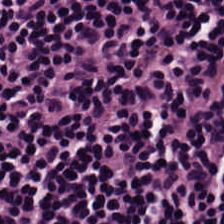Q: What tissue type is shown here?
A: Lymphoid infiltrate.
